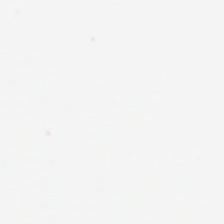Stain: H&E stain.
Classification: empty background.
